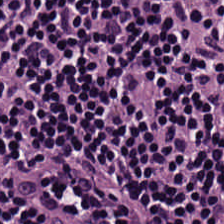Hematoxylin-and-eosin stained section · 0.5 microns per pixel — The tissue here is lymphocytes.
